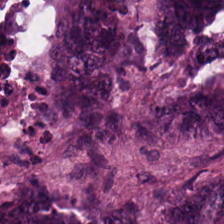224×224 px tile. H&E stain. Brightfield microscopy.
Tumor epithelium.
